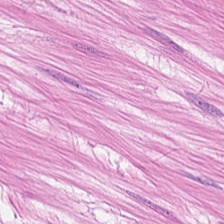This patch shows muscularis.
